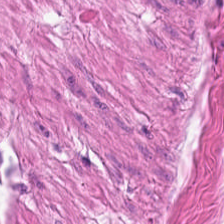Finding — smooth muscle.
